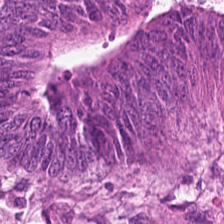H&E; formalin-fixed paraffin-embedded section. Predominantly malignant epithelium.
